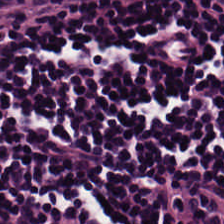Stain: H&E.
Tissue class: lymphocyte aggregate.
